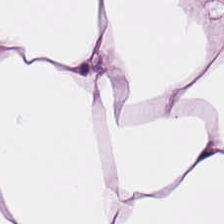H&E · formalin-fixed paraffin-embedded section.
Q: What type of tissue is this?
A: The field shows adipose.
